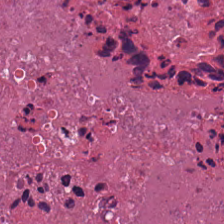H&E-stained tissue section — Q: What type of tissue is this?
A: It is necrotic debris.
